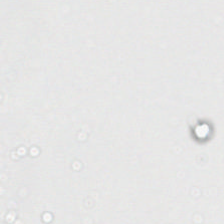H&E stain. The classification is background.
